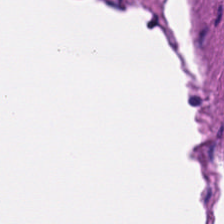Whole-slide-image patch · hematoxylin and eosin. Q: What type of tissue is this?
A: Smooth muscle.
